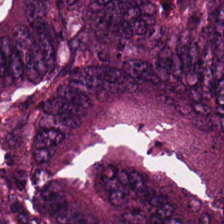Predominant tissue = adenocarcinoma.
